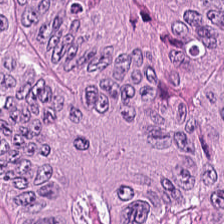H&E stain · 0.5 µm/px.
The tissue here is colorectal adenocarcinoma.
